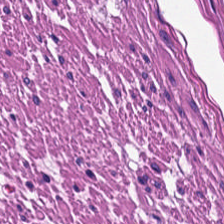Hematoxylin and eosin. This field is muscularis.
